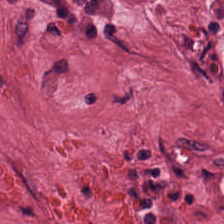H&E — Histology — tumor stroma.
